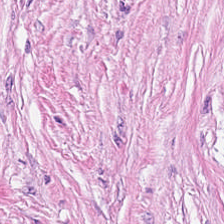Whole-slide-image patch; H&E stain.
Finding — tumor stroma.
